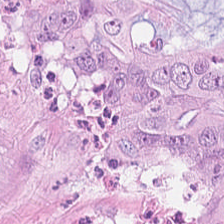H&E-stained tissue section; 224×224 px tile.
The tissue is tumor epithelium.
